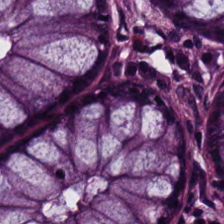{"tissue_type": "normal colonic mucosa"}
